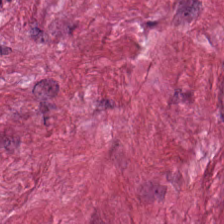H&E stain · 224×224 pixel tile · FFPE.
Tissue — desmoplastic stroma.
